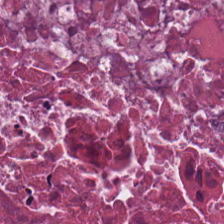H&E stain.
Q: What tissue type is shown here?
A: It is necrotic debris.
